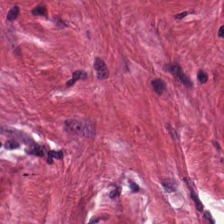224×224 px patch; hematoxylin and eosin; whole-slide-image patch. Tissue class = tumor stroma.
